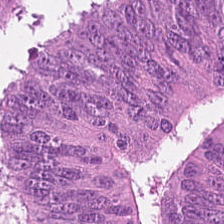H&E stain; 0.5 µm/px. Predominantly adenocarcinoma.
